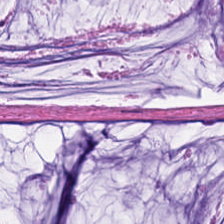Tissue = mucin.
